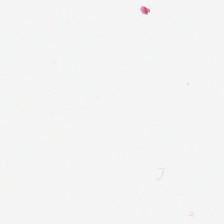Brightfield microscopy. H&E. Field content: empty background.
